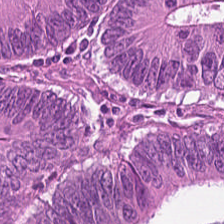H&E-stained tissue section.
This patch shows colorectal adenocarcinoma.
